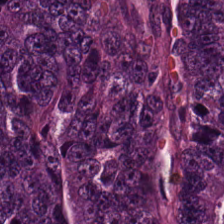Tissue = tumor epithelium.
